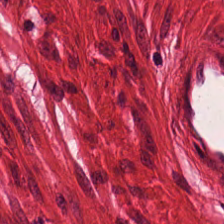Predominant tissue — smooth muscle.
